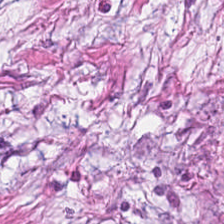H&E.
Q: What is shown here?
A: The field shows tumor stroma.
